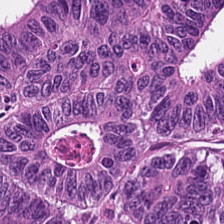Stain: H&E.
Tissue type: colorectal adenocarcinoma epithelium.
